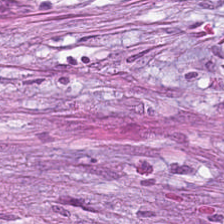224×224 px patch · hematoxylin and eosin. Cancer-associated stroma.
